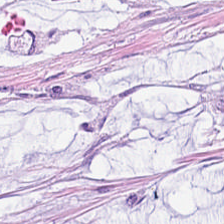Histology → extracellular mucin.
